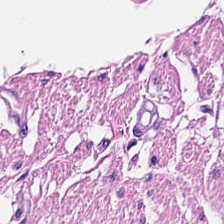H&E.
{"tissue_type": "smooth-muscle tissue"}
